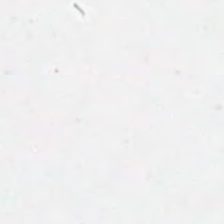Stain: hematoxylin-and-eosin stained section.
Content: no tissue.
